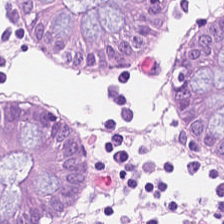FFPE. Hematoxylin and eosin. 224×224 pixel tile.
The tissue here is non-neoplastic colon mucosa.
